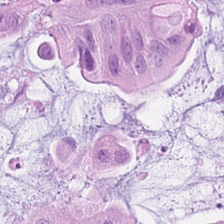Hematoxylin and eosin. 0.5 µm per pixel. Tissue class: extracellular mucin.
